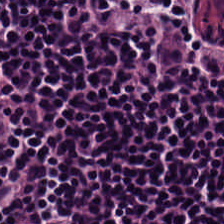Hematoxylin and eosin. 224×224 pixel tile. FFPE. Predominant tissue — lymphoid infiltrate.
